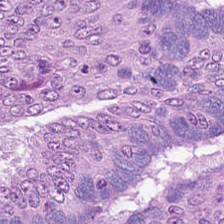Hematoxylin and eosin · 224×224 px tile — Q: Classify this patch.
A: Colorectal adenocarcinoma.
